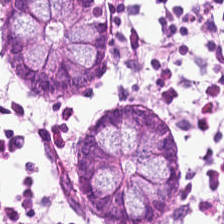H&E-stained tissue section — This field is normal colon mucosa.
